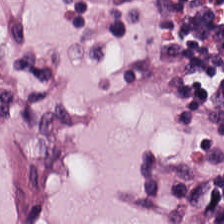H&E; 0.5 microns per pixel; brightfield microscopy. Finding — lymphocyte aggregate.
